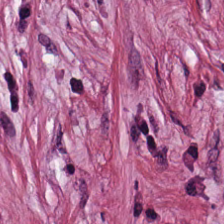H&E stain.
Tumor stroma.
